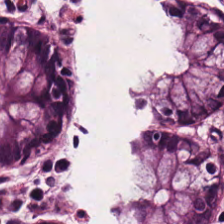H&E-stained tissue section. 224×224 px tile — The predominant tissue is normal colon mucosa.
